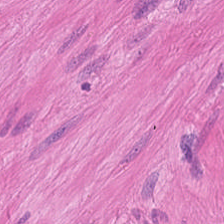Stain: hematoxylin-and-eosin stained section.
Classification: muscularis.
